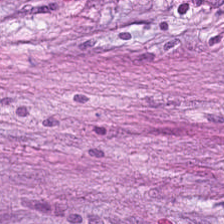H&E — Classification — cancer-associated stroma.
